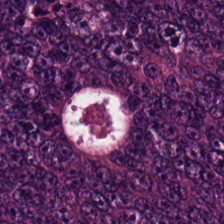H&E. WSI patch.
This patch shows adenocarcinoma.
